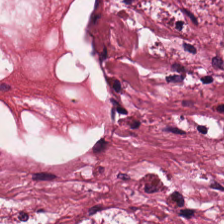H&E stain. FFPE tissue section.
Q: What type of tissue is this?
A: Tumor stroma.
